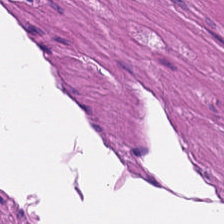Hematoxylin and eosin · 224×224 pixel tile.
Q: What tissue type is shown here?
A: This is smooth-muscle tissue.
